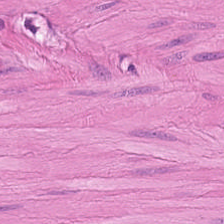H&E-stained tissue section. Q: What is shown in this field?
A: The field shows smooth muscle.
